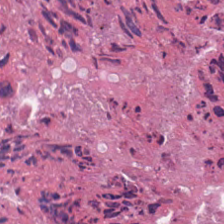Hematoxylin and eosin. Predominant tissue — debris.
